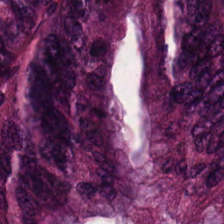Impression — malignant epithelium.
